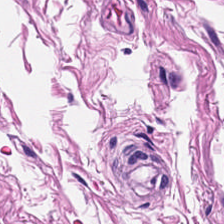Hematoxylin-and-eosin stained section.
Predominantly smooth-muscle tissue.
